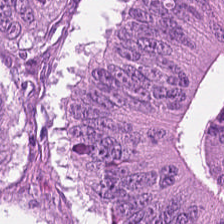This field is adenocarcinoma.
